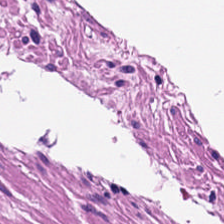H&E — The predominant tissue is muscularis.
